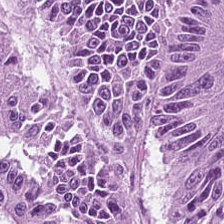FFPE · H&E stain.
The predominant tissue is colorectal adenocarcinoma.
